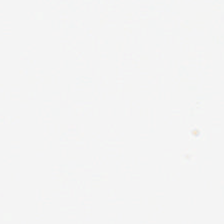H&E stain · 0.5 microns per pixel.
Content = background (no tissue).
